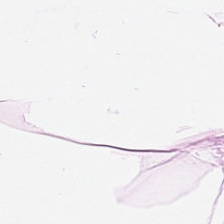H&E stain. The tissue here is adipose.
